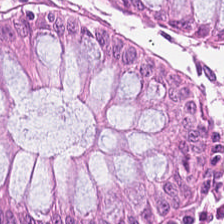0.5 microns per pixel. Whole-slide-image patch. Hematoxylin-and-eosin stained section. Predominantly benign colonic mucosa.
